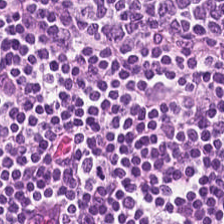H&E stain. Tissue class = lymphocytes.
